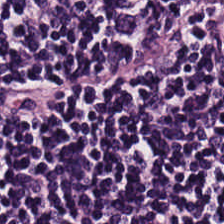Hematoxylin and eosin. The classification is lymphocytic infiltrate.
